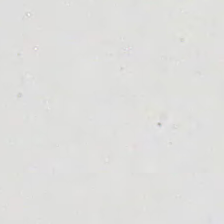FFPE tissue section; hematoxylin-and-eosin stained section; whole-slide-image patch. No tissue.
